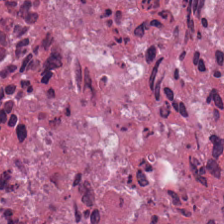Hematoxylin-and-eosin stained section; 224×224 px tile — Impression — necrotic debris.
